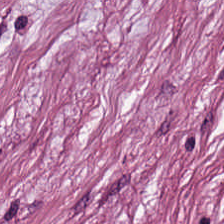H&E stain.
Showing tumor-associated stroma.
